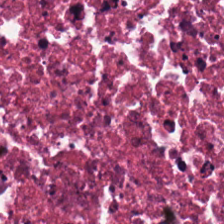224×224 px tile; H&E. The tissue here is cellular debris.
